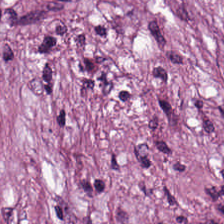Classification = tumor-associated stroma.
